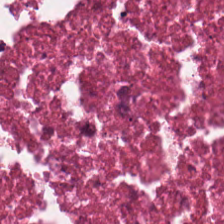Formalin-fixed paraffin-embedded section · 0.5 µm/px · H&E stain. This patch shows debris.
